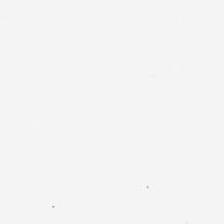H&E-stained tissue section.
{"content": "empty background"}
